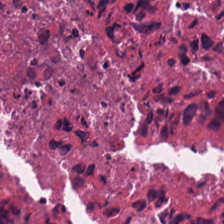H&E-stained tissue section — This field is debris.
